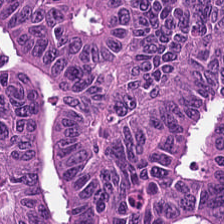Stain: H&E stain.
Tissue type: colorectal adenocarcinoma epithelium.
